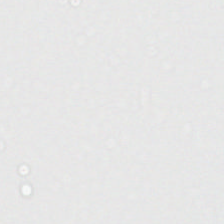Stain: H&E-stained tissue section.
Content: empty background.
